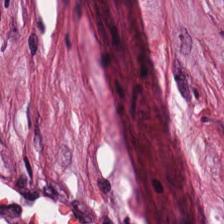Tissue type = tumor stroma.
